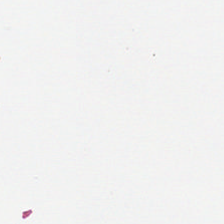Hematoxylin-and-eosin stained section. This field is background (no tissue).
